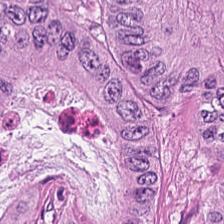224×224 px tile; H&E-stained tissue section; formalin-fixed paraffin-embedded section. Classification = colorectal adenocarcinoma.
